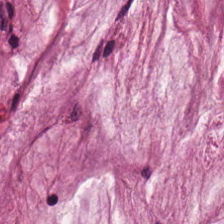Hematoxylin-and-eosin stained section.
Q: What does this patch show?
A: The field shows extracellular mucin.
